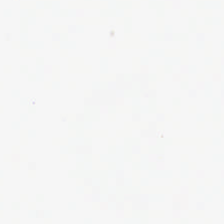H&E; brightfield; FFPE tissue section.
Empty field — background.
